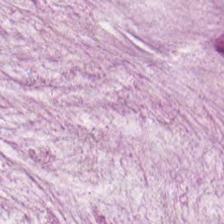H&E. Predominantly extracellular mucin.
